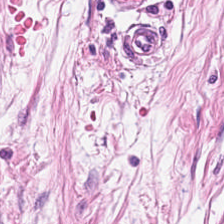H&E-stained tissue section · formalin-fixed paraffin-embedded section · 0.5 microns per pixel — The tissue class is tumor-associated stroma.
